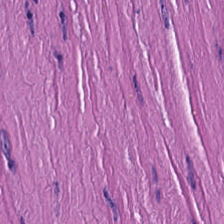Hematoxylin and eosin; formalin-fixed paraffin-embedded section. The tissue here is muscularis.
